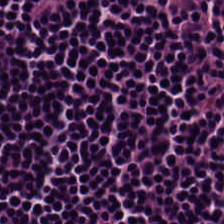FFPE tissue section. H&E-stained tissue section. WSI patch — Predominantly lymphocytic infiltrate.
